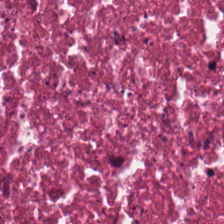FFPE tissue section; H&E stain.
Q: What does this patch show?
A: Debris.
